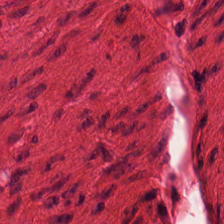Stain: hematoxylin-and-eosin stained section.
Predominant tissue: muscularis.
